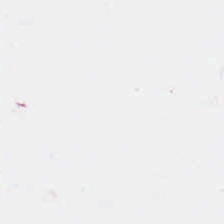H&E-stained tissue section; 224×224 px tile; brightfield.
Content = no tissue.
